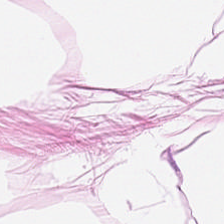Formalin-fixed paraffin-embedded section · hematoxylin and eosin — Tissue type: adipocytes.
